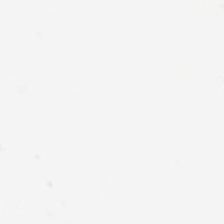0.5 µm/px; H&E; 224×224 px patch.
Background — no tissue in this field.
